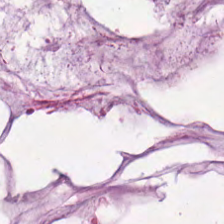Stain: hematoxylin and eosin.
Tissue: mucin.
